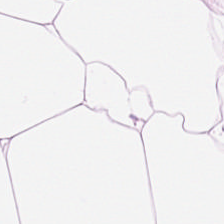H&E stain. Brightfield.
Tissue class: adipose tissue.
